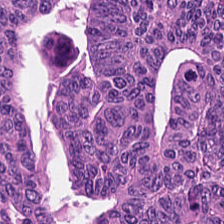0.5 microns per pixel. Hematoxylin and eosin. WSI patch. Q: What is the predominant tissue type?
A: The field shows malignant epithelium.
